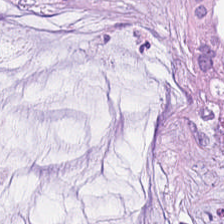H&E-stained tissue section — Predominant tissue: mucin.
